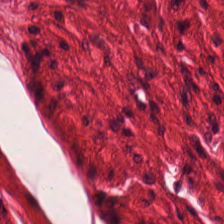Stain: H&E-stained tissue section.
Tile size: 224×224 pixel tile.
Preparation: FFPE.
Tissue class: muscularis.
